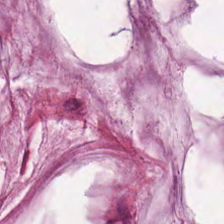Hematoxylin and eosin — Q: What tissue is shown?
A: It is mucin.
